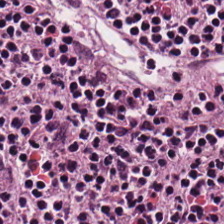Hematoxylin and eosin. This patch shows lymphoid infiltrate.
